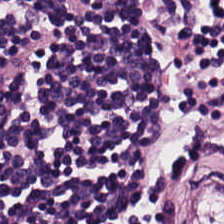Hematoxylin and eosin. Q: What is shown here?
A: It is lymphocyte aggregate.
